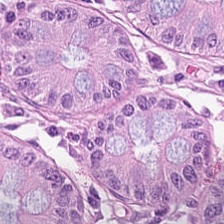Histology — non-neoplastic colon mucosa.
